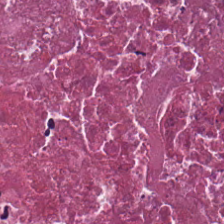Stain: hematoxylin-and-eosin stained section.
Preparation: FFPE.
Tissue: cellular debris.
